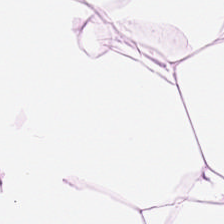This field is adipose tissue.
